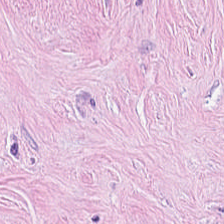FFPE; brightfield microscopy; H&E — Desmoplastic stroma.
